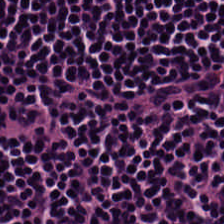224×224 px tile; hematoxylin-and-eosin stained section. Showing lymphocytes.
